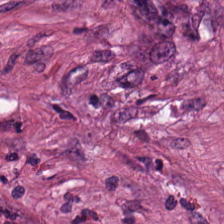20× equivalent magnification. FFPE. H&E-stained tissue section — Predominantly cancer-associated stroma.
